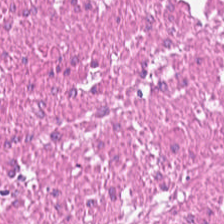Histology — smooth-muscle tissue.
